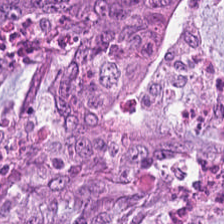The tissue here is tumor epithelium.
